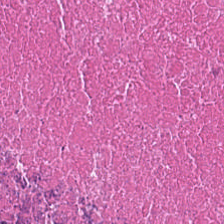FFPE tissue section. H&E-stained tissue section. 224×224 px patch. {"tissue_type": "cellular debris"}
